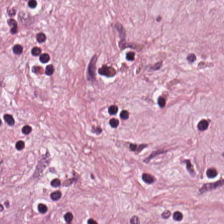H&E-stained section; the field shows desmoplastic stroma.
